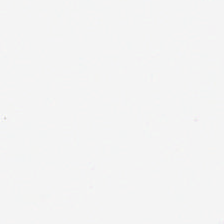Whole-slide-image patch. Hematoxylin and eosin. 224×224 px patch. Q: What is shown here?
A: The field shows empty background.
